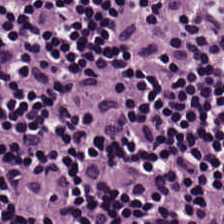0.5 µm per pixel · H&E stain · formalin-fixed paraffin-embedded section. {"tissue_type": "lymphocyte aggregate"}
